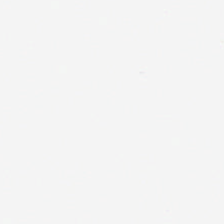H&E-stained tissue section; formalin-fixed paraffin-embedded section. Q: What is shown here?
A: This is empty background.
